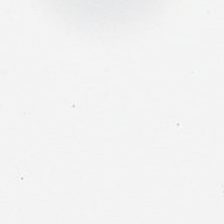H&E stain · 0.5 µm/px — Classification: background (no tissue).
